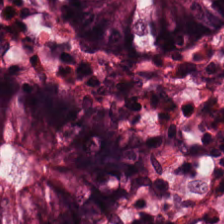Impression → benign colonic mucosa.
